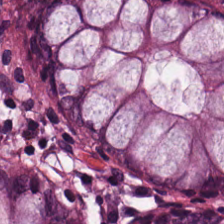Stain: hematoxylin-and-eosin stained section.
Tissue class: benign colonic mucosa.
